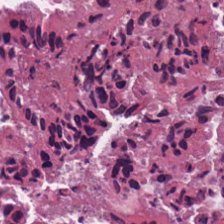FFPE. Hematoxylin-and-eosin stained section — Q: What tissue is shown?
A: This is cellular debris.
